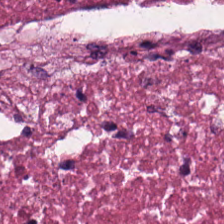H&E stain · brightfield.
The tissue here is debris.
